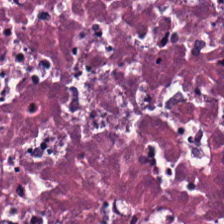Brightfield; H&E.
Histology → debris.
